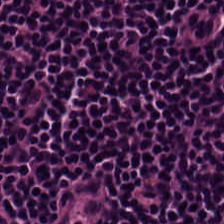H&E-stained tissue section. This field is lymphoid infiltrate.
